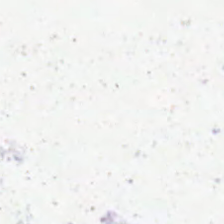20× equivalent magnification; hematoxylin and eosin — This patch shows no tissue.
